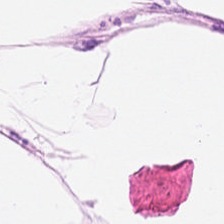{"tissue_type": "adipose tissue"}
